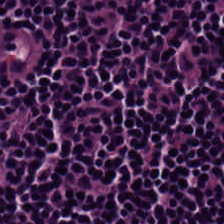Hematoxylin-and-eosin stained section — This field is lymphocytes.
